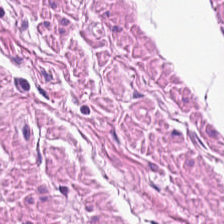H&E patch showing smooth-muscle tissue.
